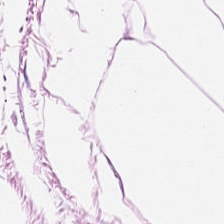Hematoxylin-and-eosin stained section · 224×224 px tile · FFPE. Classification: fat tissue.
